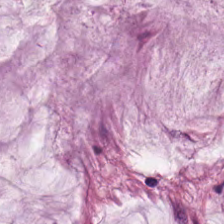Mucus.
